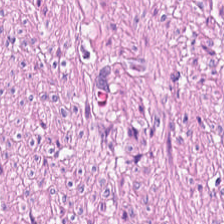H&E. The tissue is muscularis.
